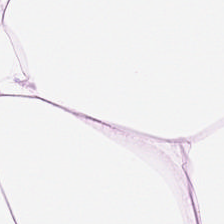H&E-stained tissue section · 0.5 µm per pixel · 224×224 px patch — The predominant tissue is adipose.
